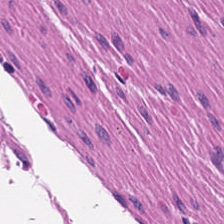Hematoxylin-and-eosin stained section. Histology — smooth muscle.
